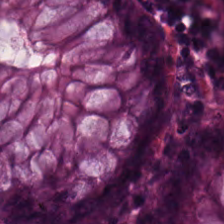H&E · 224×224 px patch.
Histology → non-neoplastic colon mucosa.
